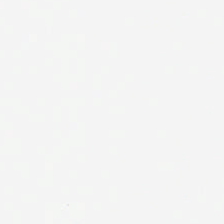Stain: hematoxylin and eosin.
Classification: background (no tissue).
